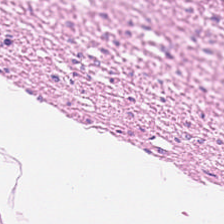Hematoxylin and eosin.
Finding — smooth-muscle tissue.
